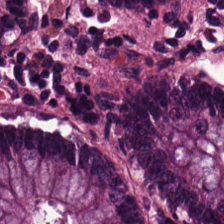Hematoxylin-and-eosin stained section — Benign colonic mucosa.
